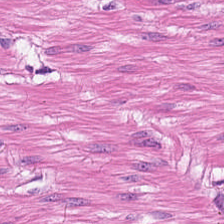Smooth muscle.
